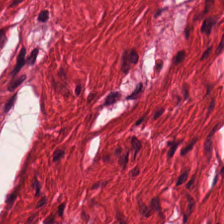Brightfield microscopy; H&E stain; 0.5 µm/px.
Impression — smooth-muscle tissue.
